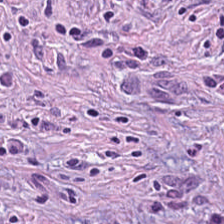H&E · FFPE tissue section. Cancer-associated stroma.
